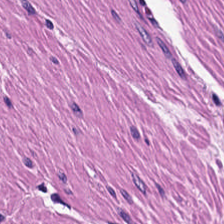H&E stain; brightfield microscopy.
The tissue is smooth muscle.
